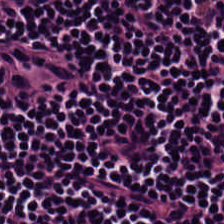Hematoxylin and eosin · 0.5 µm/px · FFPE tissue section.
Histology → lymphocytic infiltrate.
